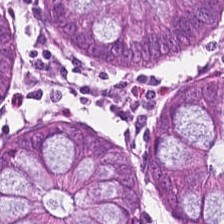H&E stain. 224×224 px patch.
Histology — normal colon mucosa.
